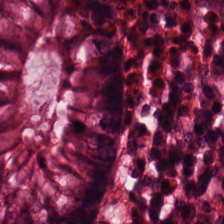H&E-stained tissue section showing non-neoplastic colon mucosa.
